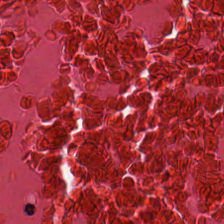Stain: H&E-stained tissue section.
Tissue: debris.
